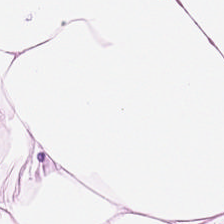Whole-slide-image patch; H&E — Q: What tissue is shown?
A: It is adipose.
